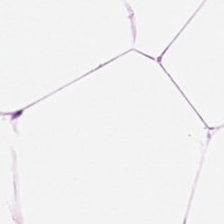H&E stain — Fat tissue.
